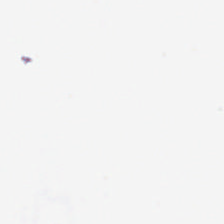Histology — empty background.
